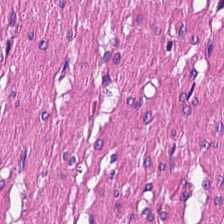Hematoxylin-and-eosin stained section. Predominantly smooth muscle.
